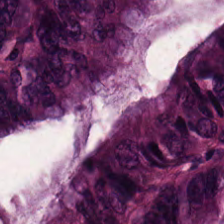20× equivalent magnification; H&E; brightfield microscopy. The predominant tissue is colorectal adenocarcinoma.
